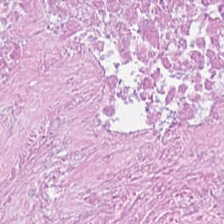Tissue = necrotic debris.
